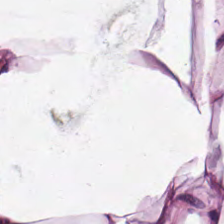H&E stain; 224×224 pixel tile. Adipose tissue.
